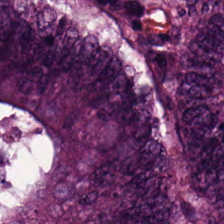Formalin-fixed paraffin-embedded section; H&E — This patch shows colorectal adenocarcinoma.
